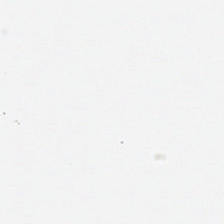H&E · 0.5 µm/px.
This field is background (no tissue).
